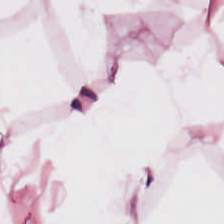Hematoxylin and eosin — This patch shows fat tissue.
